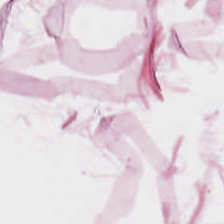H&E-stained tissue section. 0.5 µm per pixel. FFPE.
Predominant tissue: adipocytes.
